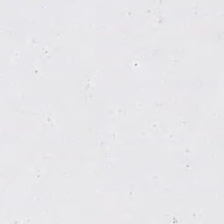H&E stain. {"content": "background (no tissue)"}
